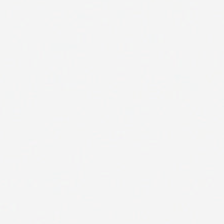Stain: H&E stain.
Classification: background.
